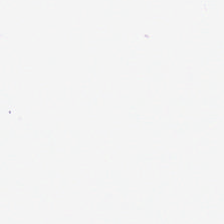Stain: hematoxylin and eosin.
Classification: no tissue.
